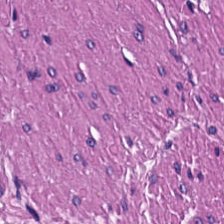Hematoxylin and eosin. The predominant tissue is smooth-muscle tissue.
